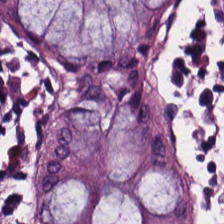Whole-slide-image patch. H&E stain — Predominantly non-neoplastic colon mucosa.
